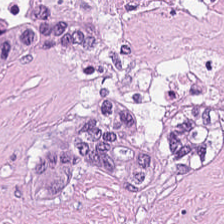H&E-stained tissue section. Impression — cellular debris.
